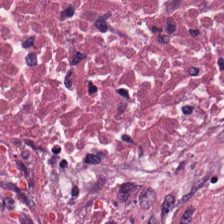H&E-stained tissue section showing cellular debris.
